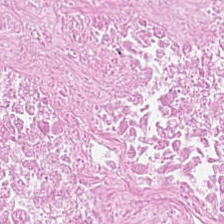224×224 px patch; H&E stain; FFPE — This patch shows cellular debris.
